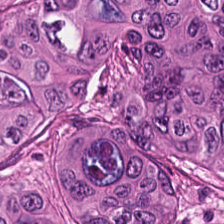H&E.
Q: What is shown here?
A: It is colorectal adenocarcinoma epithelium.
